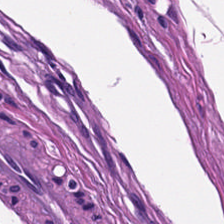224×224 pixel tile; H&E stain. Impression — smooth-muscle tissue.
